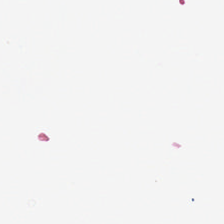224×224 pixel tile; H&E stain; 20× equivalent magnification — No tissue present; background only.
